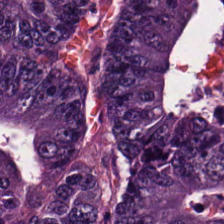Hematoxylin and eosin · FFPE — Tissue — tumor epithelium.
